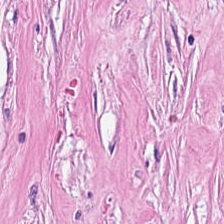H&E stain — The tissue type is tumor stroma.
